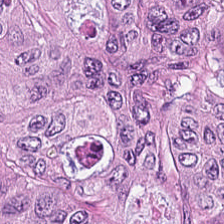H&E-stained tissue section — Showing colorectal adenocarcinoma.
